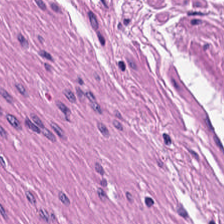The predominant tissue is muscularis.
